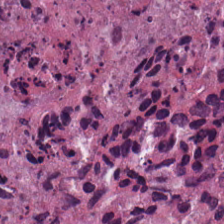Q: What is shown in this field?
A: Cellular debris.
